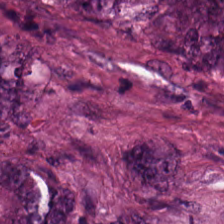Hematoxylin and eosin. Showing malignant epithelium.
